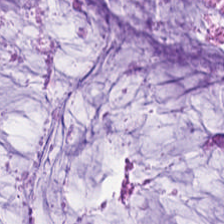Hematoxylin and eosin; brightfield microscopy.
Finding — extracellular mucin.
